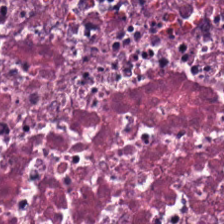Stain: H&E-stained tissue section.
Tissue: debris.
